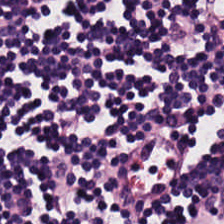H&E stain — Lymphocyte aggregate.
